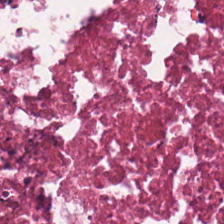Hematoxylin and eosin — Q: What does this patch show?
A: Necrotic debris.
